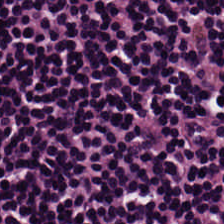Q: What is shown here?
A: The field shows lymphocyte aggregate.
